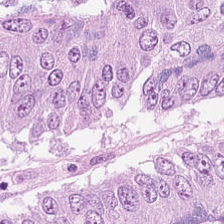H&E-stained tissue section — The predominant tissue is adenocarcinoma.
